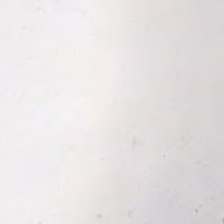H&E-stained tissue section; whole-slide-image patch.
No tissue present; background only.
